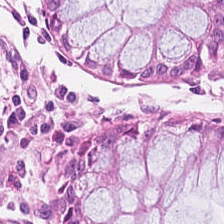The tissue here is benign colonic mucosa.
